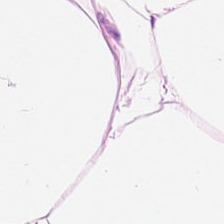Hematoxylin and eosin.
Predominantly adipocytes.
